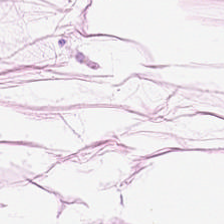H&E stain.
This patch shows adipose tissue.
